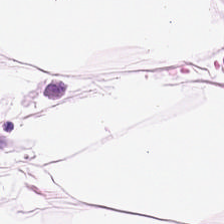224×224 px patch. H&E stain — Q: What is shown here?
A: This is adipose.
